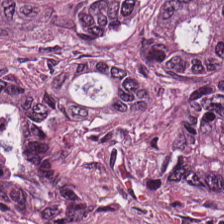Finding → tumor epithelium.
